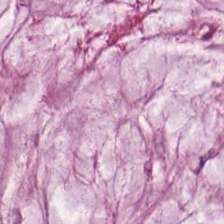Hematoxylin-and-eosin stained section — The tissue here is mucus.
